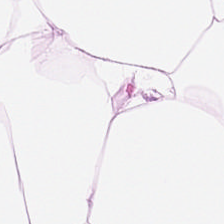224×224 pixel tile; H&E stain. Fat tissue.
